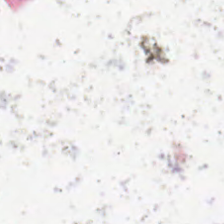Empty background.
